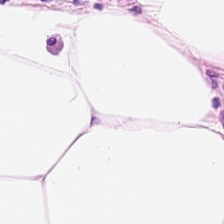Tissue: fat tissue.
